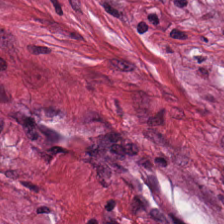{"tissue_type": "desmoplastic stroma"}
